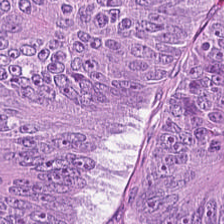{"tissue_type": "colorectal adenocarcinoma"}
